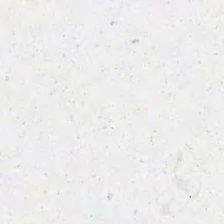H&E stain — Background — no tissue in this field.
